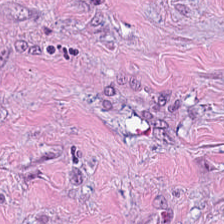Tissue class: tumor stroma.
